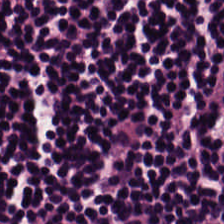H&E.
Q: What tissue is shown?
A: It is lymphocytic infiltrate.
